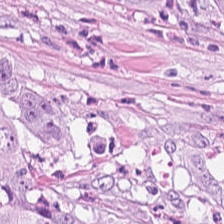Formalin-fixed paraffin-embedded section; hematoxylin and eosin.
Showing adenocarcinoma.
